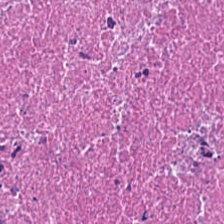Stain: hematoxylin-and-eosin stained section.
Tissue: necrotic debris.
